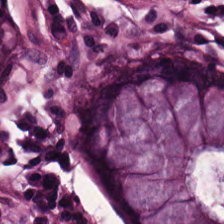224×224 px tile. H&E-stained tissue section. This patch shows non-neoplastic colon mucosa.
